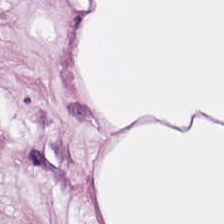H&E stain.
Q: What tissue type is shown here?
A: Fat tissue.
